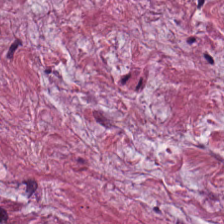The predominant tissue is cancer-associated stroma.
